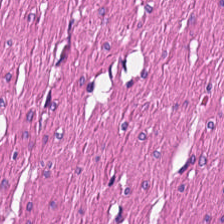Stain: hematoxylin and eosin.
Preparation: FFPE tissue section.
Predominant tissue: smooth muscle.
